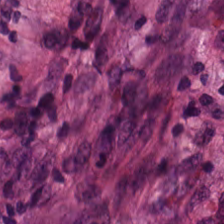H&E-stained tissue section showing tumor stroma.
